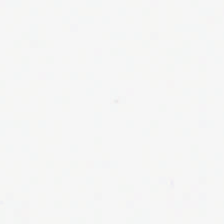H&E-stained tissue section.
Background (no tissue).
